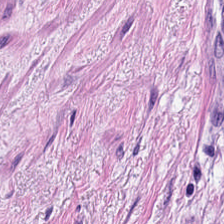Stain: H&E.
Tissue type: smooth-muscle tissue.
